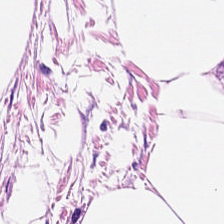Tissue type: adipose tissue.
